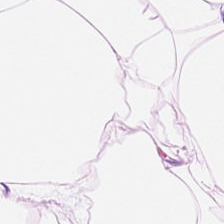0.5 µm/px · H&E stain — This patch shows adipocytes.
